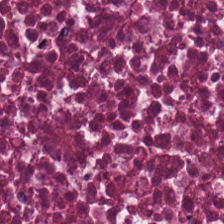Hematoxylin-and-eosin section: cellular debris.
